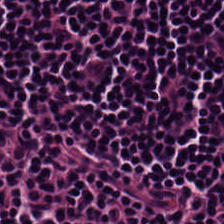H&E stain.
Predominant tissue = lymphocytes.
